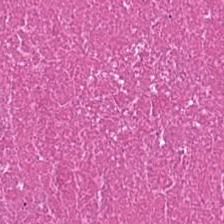Showing debris.
